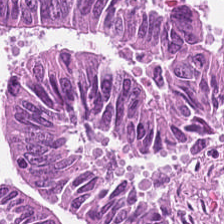The tissue type is colorectal adenocarcinoma epithelium.
